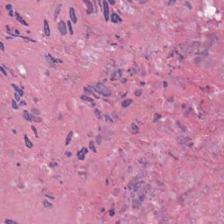H&E stain. The predominant tissue is debris.
